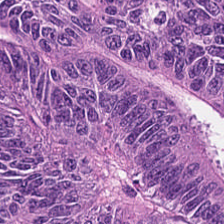Finding — colorectal adenocarcinoma.
